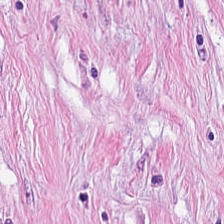0.5 µm/px. H&E — Classification — tumor-associated stroma.
